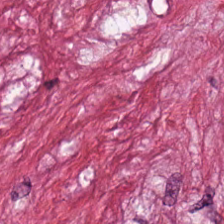The tissue class is desmoplastic stroma.
